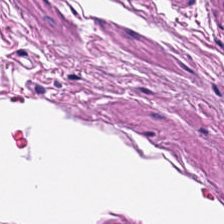Hematoxylin-and-eosin stained section; 224×224 pixel tile; WSI patch. Predominantly smooth muscle.
